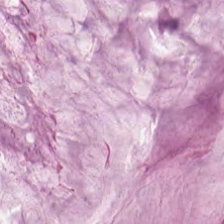The predominant tissue is extracellular mucin.
